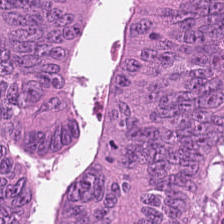Hematoxylin-and-eosin stained section — Q: What does this patch show?
A: This is malignant epithelium.
